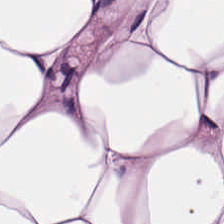Formalin-fixed paraffin-embedded section. Hematoxylin and eosin.
The tissue is fat tissue.
